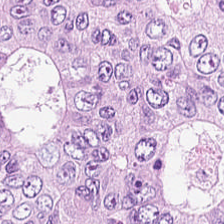H&E; formalin-fixed paraffin-embedded section. Showing colorectal adenocarcinoma.
